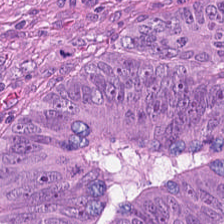0.5 microns per pixel; H&E-stained tissue section; 224×224 pixel tile. Tissue class = adenocarcinoma.
